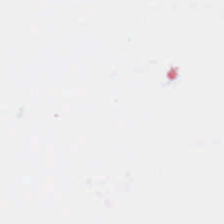H&E. Background — no tissue in this field.
